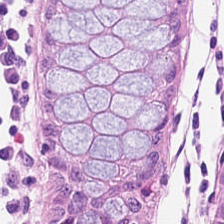Hematoxylin-and-eosin section: non-neoplastic colon mucosa.
